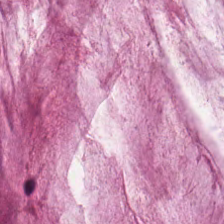Hematoxylin-and-eosin section: mucus.
